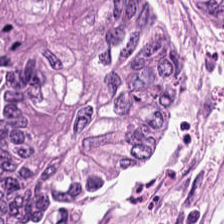H&E stain. Histology → adenocarcinoma.
